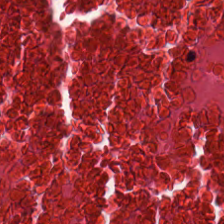Hematoxylin-and-eosin stained section. Predominant tissue: cellular debris.
